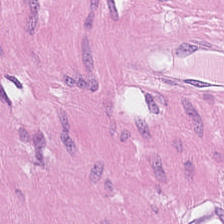0.5 microns per pixel; WSI patch; H&E stain.
The tissue here is muscularis.
